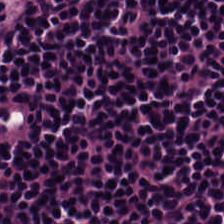FFPE; H&E stain. Impression → lymphocytic infiltrate.
